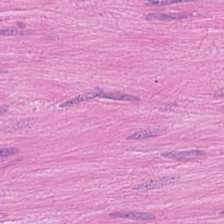Hematoxylin and eosin. WSI patch. Tissue class: smooth muscle.
